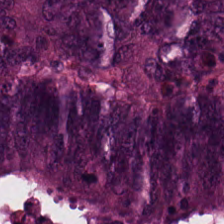Hematoxylin-and-eosin stained section — Classification = colorectal adenocarcinoma.
